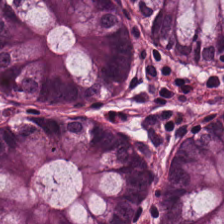H&E-stained tissue section.
Q: What is the predominant tissue type?
A: Normal colonic mucosa.
